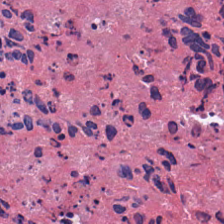Hematoxylin and eosin. This field is cellular debris.
